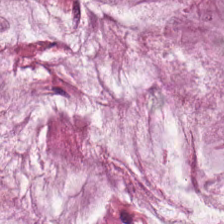Formalin-fixed paraffin-embedded section · 224×224 pixel tile · H&E — The tissue type is extracellular mucin.
